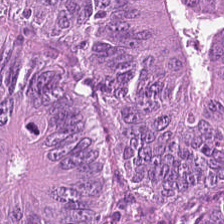224×224 px tile · hematoxylin-and-eosin stained section · brightfield microscopy — The tissue is tumor epithelium.
